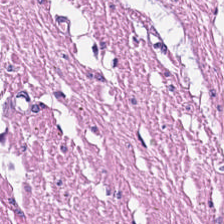0.5 microns per pixel. Hematoxylin-and-eosin stained section. Predominantly muscularis.
